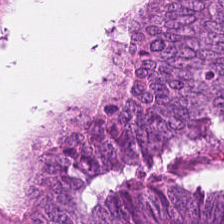Stain: hematoxylin-and-eosin stained section.
Tissue class: colorectal adenocarcinoma epithelium.
